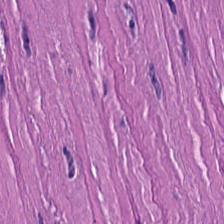H&E. Predominant tissue — smooth muscle.
